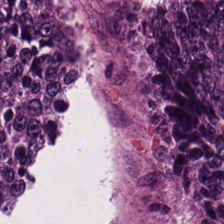Formalin-fixed paraffin-embedded section; H&E stain.
The classification is colorectal adenocarcinoma.
